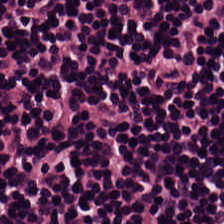Tissue class = lymphoid infiltrate.
